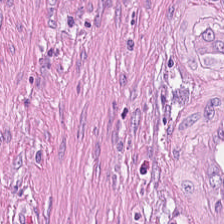20× equivalent magnification · H&E stain — Tumor-associated stroma.
